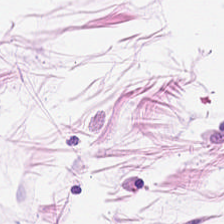224×224 px patch; H&E-stained tissue section. The classification is fat tissue.
